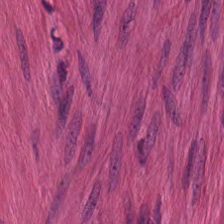H&E stain.
Tissue class — smooth-muscle tissue.
